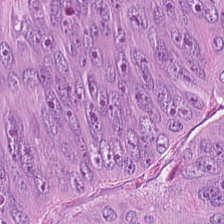FFPE tissue section · brightfield microscopy · H&E stain — Finding → tumor epithelium.
